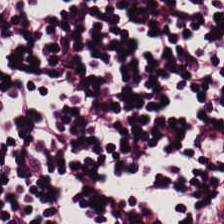H&E — lymphoid infiltrate.
